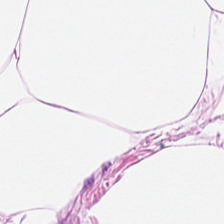H&E-stained section; the field shows adipocytes.
